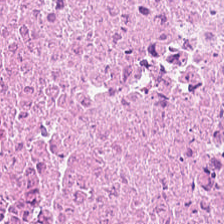Hematoxylin-and-eosin stained section — Tissue class = debris.
